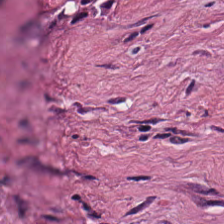Hematoxylin and eosin. Q: What tissue is shown?
A: Tumor-associated stroma.
